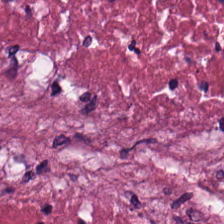H&E-stained tissue section showing debris.
